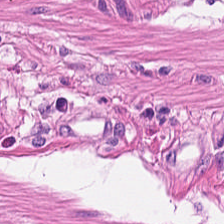H&E.
Finding — smooth-muscle tissue.
